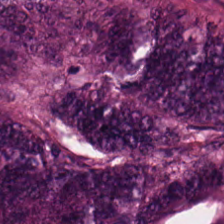Hematoxylin-and-eosin stained section — {"tissue_type": "malignant epithelium"}
